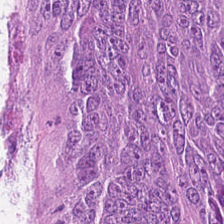Hematoxylin and eosin. This patch shows malignant epithelium.
